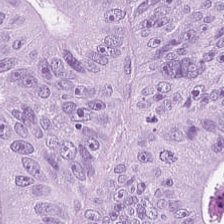H&E — tumor epithelium.
